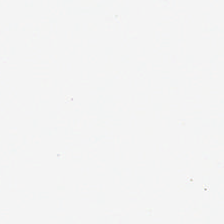224×224 px tile · hematoxylin and eosin — This field is background (no tissue).
